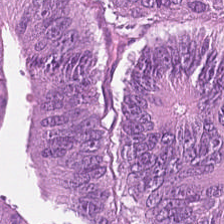Hematoxylin-and-eosin stained section. Finding → tumor epithelium.
